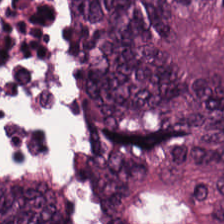Formalin-fixed paraffin-embedded section · H&E-stained tissue section · brightfield microscopy.
This field is colorectal adenocarcinoma.
